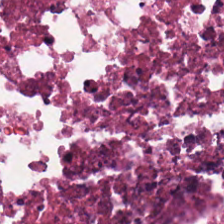Stain: H&E.
Preparation: formalin-fixed paraffin-embedded section.
Predominant tissue: necrotic debris.
